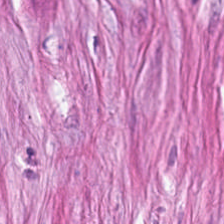Hematoxylin-and-eosin stained section. Q: What does this patch show?
A: The field shows tumor-associated stroma.
